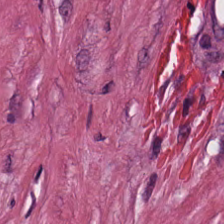Hematoxylin-and-eosin stained section. 0.5 µm/px — The predominant tissue is tumor-associated stroma.
